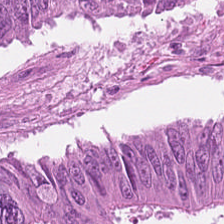FFPE tissue section · 224×224 pixel tile · H&E. This field is malignant epithelium.
